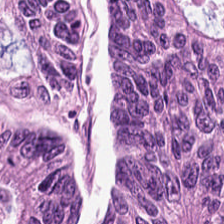Hematoxylin-and-eosin stained section. The tissue is malignant epithelium.
